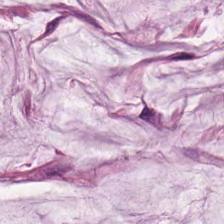Hematoxylin-and-eosin section: extracellular mucin.
